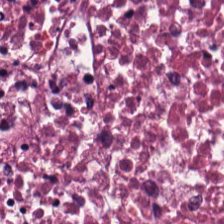Hematoxylin-and-eosin stained section. The classification is debris.
